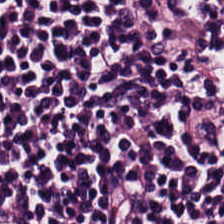Tissue class — lymphoid infiltrate.
